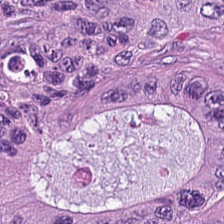H&E-stained tissue section — Classification — adenocarcinoma.
